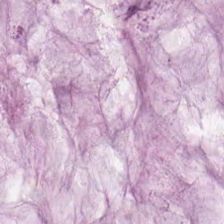0.5 µm/px. H&E-stained tissue section. 224×224 pixel tile. {"tissue_type": "mucus"}
